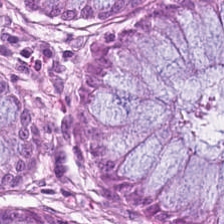H&E stain — Q: What type of tissue is this?
A: The field shows normal colon mucosa.
